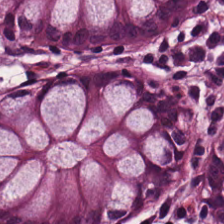Q: What is shown in this field?
A: It is normal colon mucosa.
